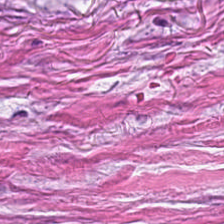Stain: H&E stain.
Tissue: tumor-associated stroma.
